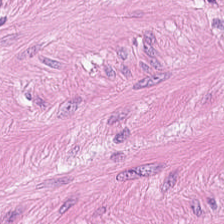H&E — Finding — smooth muscle.
